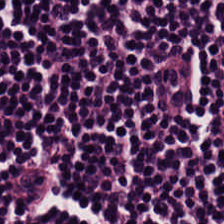Tissue type: lymphocytes.
